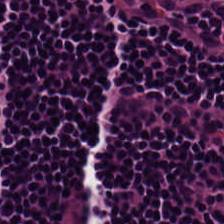Hematoxylin-and-eosin stained section. 224×224 px patch. {"tissue_type": "lymphoid infiltrate"}
